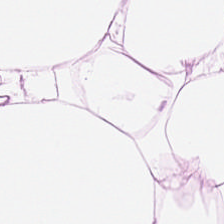Stain: hematoxylin-and-eosin stained section.
Predominant tissue: adipocytes.
